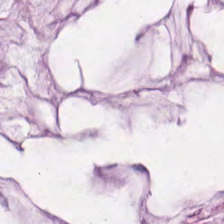H&E; 0.5 microns per pixel.
Impression — extracellular mucin.
